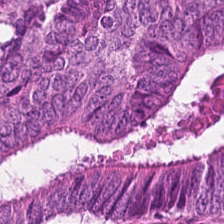Hematoxylin and eosin · brightfield microscopy. The tissue class is tumor epithelium.
